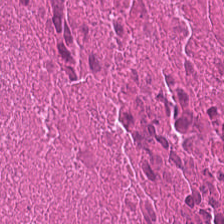Hematoxylin-and-eosin stained section.
Classification — cellular debris.
